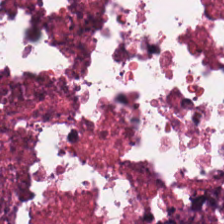H&E-stained tissue section. Predominant tissue = debris.
